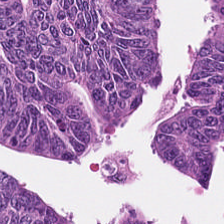Tissue class: adenocarcinoma.
